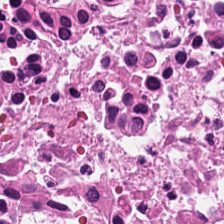Stain: hematoxylin and eosin.
Tissue: necrotic debris.
